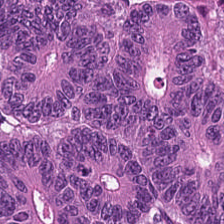Hematoxylin and eosin.
Adenocarcinoma.
